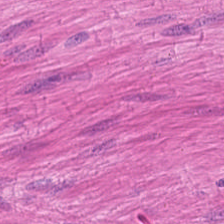Q: What is shown in this field?
A: It is smooth-muscle tissue.
